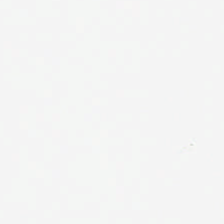{"content": "background"}
